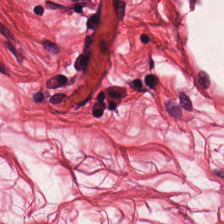The predominant tissue is muscularis.
